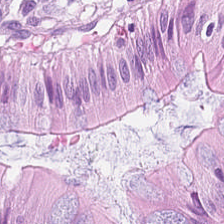H&E stain.
Q: What tissue type is shown here?
A: The field shows benign colonic mucosa.
